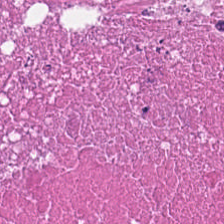H&E-stained section; the field shows debris.
